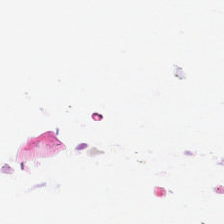H&E stain; 0.5 µm/px.
Q: What is shown in this field?
A: This is empty background.
